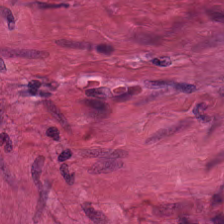H&E — Tissue type — muscularis.
